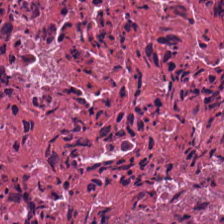224×224 px tile · H&E-stained tissue section — Q: What tissue type is shown here?
A: This is cellular debris.
